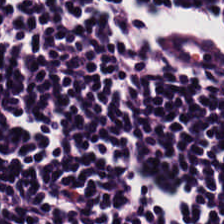Hematoxylin and eosin — Q: Classify this patch.
A: This is lymphocytes.
